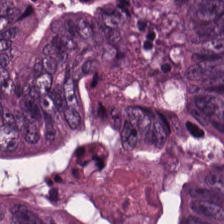Hematoxylin-and-eosin stained section.
Finding → cellular debris.
